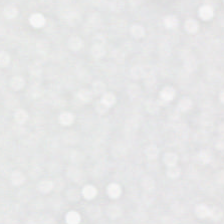Hematoxylin-and-eosin stained section — Finding — background.
